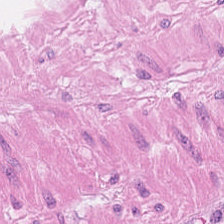Stain: hematoxylin-and-eosin stained section.
Resolution: 20× equivalent magnification.
Tile size: 224×224 pixel tile.
Classification: smooth-muscle tissue.
